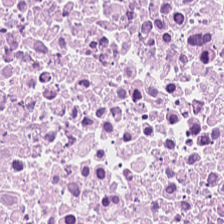224×224 px patch. Hematoxylin-and-eosin stained section. Classification: cellular debris.
